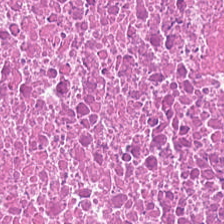H&E-stained tissue section — Q: Identify the tissue.
A: Necrotic debris.
